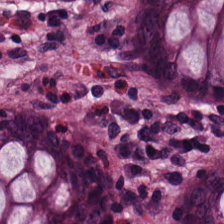H&E.
Classification — non-neoplastic colon mucosa.
